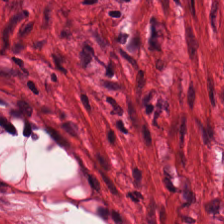H&E.
Predominantly muscularis.
